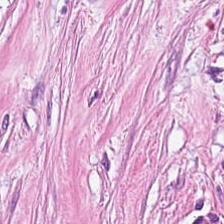Q: What tissue type is shown here?
A: It is cancer-associated stroma.
